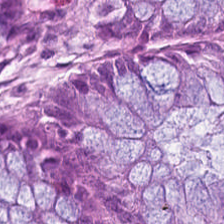H&E stain — Normal colon mucosa.
